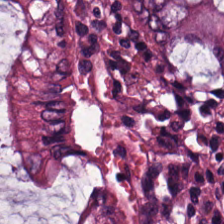H&E stain — Tissue type = normal colonic mucosa.
